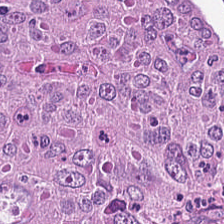0.5 microns per pixel; WSI patch; H&E-stained tissue section. The tissue here is colorectal adenocarcinoma.
